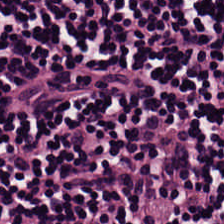H&E-stained tissue section.
Tissue type — lymphocyte aggregate.
